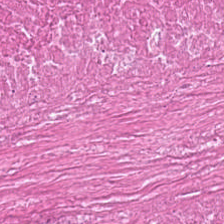Necrotic debris.
